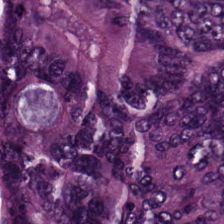H&E-stained tissue section. Classification — tumor epithelium.
